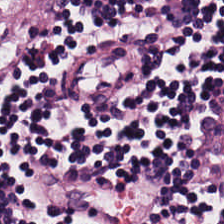Hematoxylin and eosin.
Lymphocyte aggregate.
